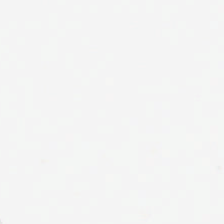H&E — Empty field — empty background.
